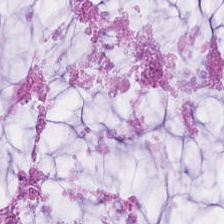H&E.
Predominant tissue = mucus.
